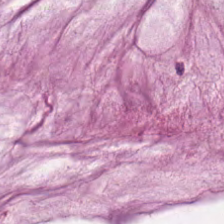The predominant tissue is extracellular mucin.
